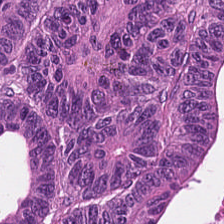H&E. Impression → tumor epithelium.
